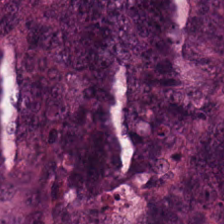H&E; 224×224 pixel tile. Colorectal adenocarcinoma.
